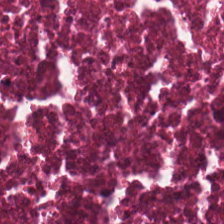H&E stain.
Finding → debris.
